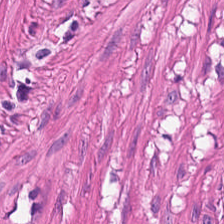H&E — {"tissue_type": "muscularis"}
